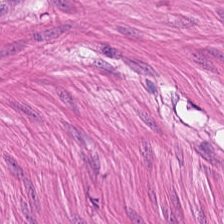H&E stain — {"tissue_type": "smooth muscle"}
